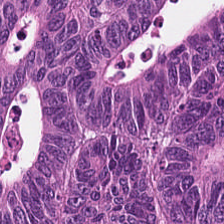Hematoxylin and eosin; brightfield — Tissue = tumor epithelium.
